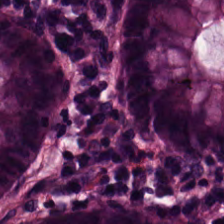Q: What tissue type is shown here?
A: It is normal colonic mucosa.
